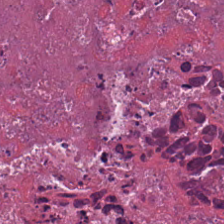H&E · WSI patch.
This patch shows necrotic debris.
